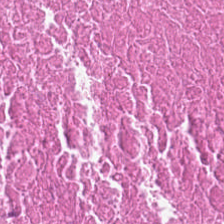This patch shows debris.
